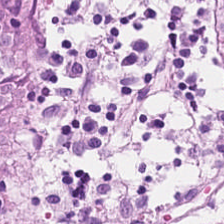{"tissue_type": "non-neoplastic colon mucosa"}
